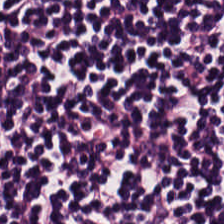FFPE tissue section · H&E stain · 0.5 µm per pixel. {"tissue_type": "lymphocytic infiltrate"}
